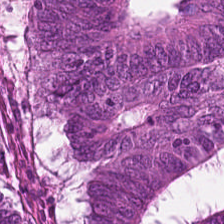H&E stain.
The predominant tissue is tumor epithelium.
